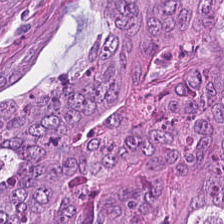H&E. {"tissue_type": "colorectal adenocarcinoma epithelium"}
